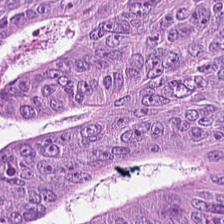H&E. {"tissue_type": "colorectal adenocarcinoma epithelium"}
